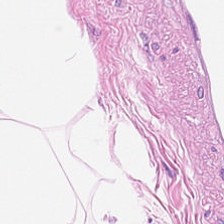Hematoxylin-and-eosin stained section. This field is adipocytes.
